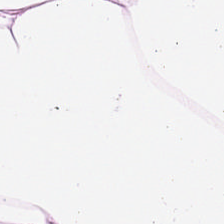Predominantly fat tissue.
